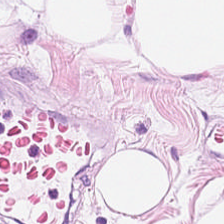Hematoxylin and eosin; FFPE — Tissue class — fat tissue.
